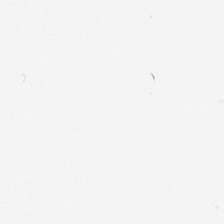Hematoxylin and eosin.
Q: Classify this patch.
A: This is background.
